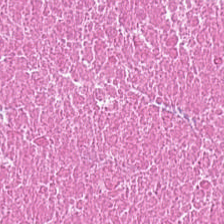{"tissue_type": "debris"}
